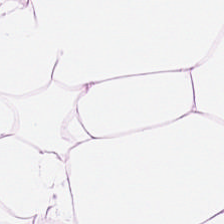224×224 px tile. H&E-stained tissue section. 0.5 µm per pixel. Impression — adipose.
